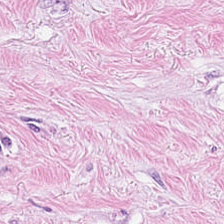0.5 µm/px. FFPE tissue section. Hematoxylin and eosin. The tissue here is tumor-associated stroma.
